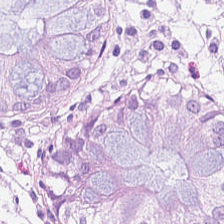Hematoxylin-and-eosin stained section. FFPE — Q: What type of tissue is this?
A: It is benign colonic mucosa.
